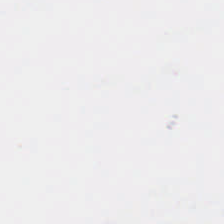H&E-stained tissue section; 224×224 px patch. No tissue present; background only.
